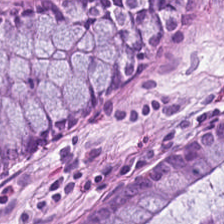H&E-stained tissue section. Tissue: normal colon mucosa.
